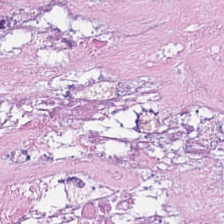Q: Identify the tissue.
A: This is necrotic debris.
